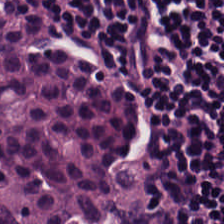This field is lymphocyte aggregate.
